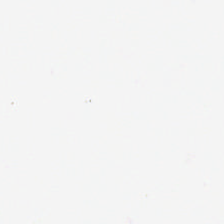224×224 pixel tile. Hematoxylin-and-eosin stained section. 0.5 microns per pixel. {"content": "background"}
